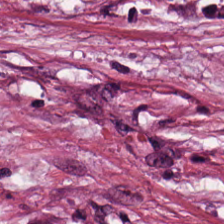The predominant tissue is tumor stroma.
